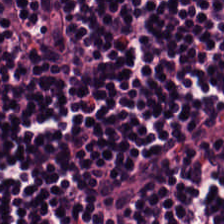Stain: hematoxylin-and-eosin stained section.
Classification: lymphocytic infiltrate.
